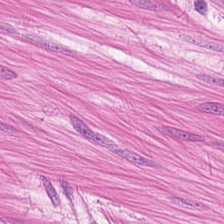Hematoxylin-and-eosin stained section. 224×224 pixel tile.
Tissue — smooth muscle.
